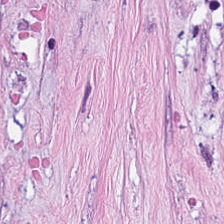The tissue here is tumor-associated stroma.
